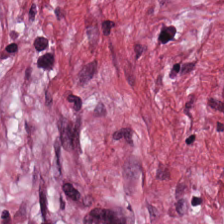Finding → tumor stroma.
